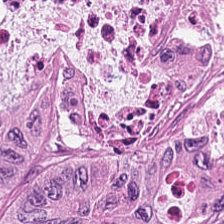Hematoxylin-and-eosin stained section. 20× equivalent magnification. Formalin-fixed paraffin-embedded section — This patch shows malignant epithelium.
